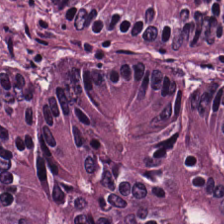H&E-stained tissue section — Predominantly tumor epithelium.
